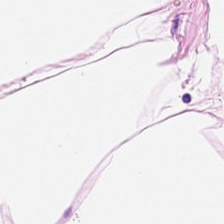Predominant tissue: adipocytes.
